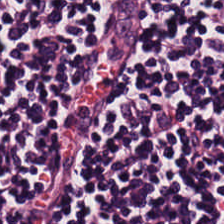H&E stain — Showing lymphocytes.
